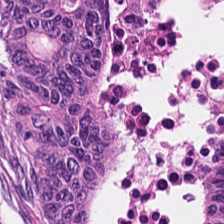H&E-stained tissue section; FFPE.
Q: What type of tissue is this?
A: This is colorectal adenocarcinoma epithelium.
